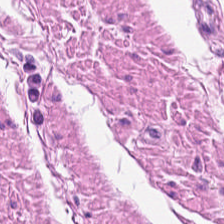Tissue: muscularis.
